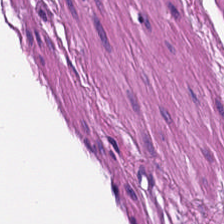H&E stain · whole-slide-image patch. Q: Identify the tissue.
A: It is smooth muscle.
